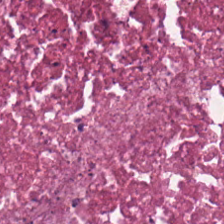H&E stain. 224×224 pixel tile. Brightfield microscopy.
Tissue = necrotic debris.
